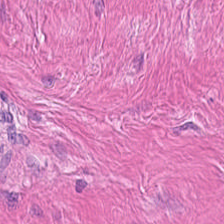Hematoxylin-and-eosin stained section.
Showing smooth-muscle tissue.
